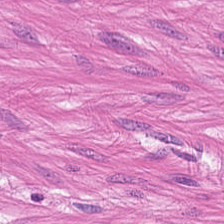H&E patch showing smooth muscle.
